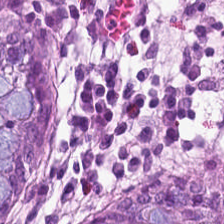Tissue class: normal colonic mucosa.
